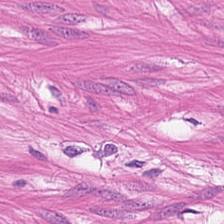Impression — muscularis.
